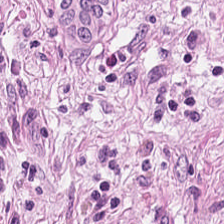Stain: hematoxylin and eosin.
Classification: tumor stroma.
